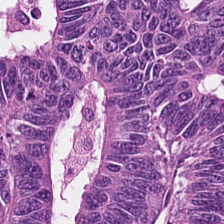H&E. Q: What is shown here?
A: The field shows adenocarcinoma.
